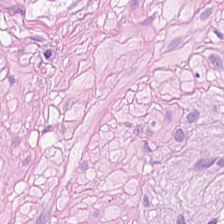224×224 pixel tile; 20× equivalent magnification; H&E stain — Impression — smooth-muscle tissue.
